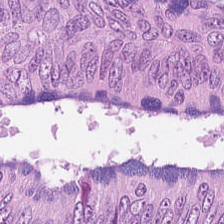Histology — adenocarcinoma.
